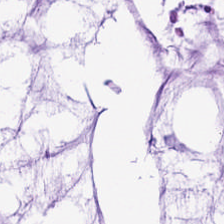H&E-stained tissue section. {"tissue_type": "mucus"}
